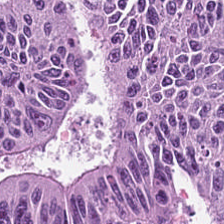H&E. The predominant tissue is malignant epithelium.
